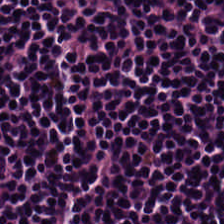Hematoxylin-and-eosin stained section.
Classification — lymphocyte aggregate.
